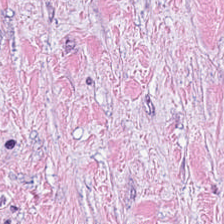H&E-stained tissue section — {"tissue_type": "cancer-associated stroma"}
